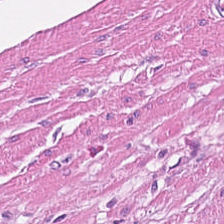FFPE tissue section; hematoxylin and eosin.
Q: Classify this patch.
A: This is smooth-muscle tissue.
